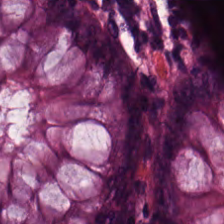0.5 µm/px; H&E-stained tissue section. Benign colonic mucosa.
